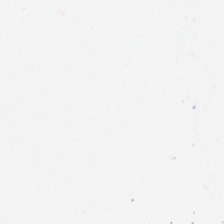Hematoxylin and eosin. Classification = empty background.
